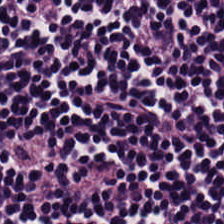Hematoxylin-and-eosin stained section.
Histology → lymphocytes.
